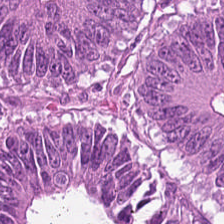Classification = colorectal adenocarcinoma.
